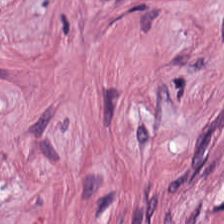Stain: H&E-stained tissue section.
Tissue type: cancer-associated stroma.
